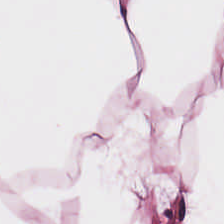Formalin-fixed paraffin-embedded section. H&E stain. 224×224 pixel tile — The predominant tissue is adipocytes.
